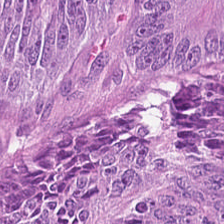Hematoxylin-and-eosin stained section · 0.5 microns per pixel — Q: What type of tissue is this?
A: Adenocarcinoma.
